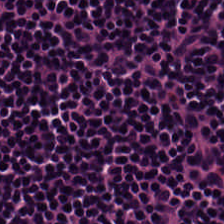H&E stain. Classification = lymphocytic infiltrate.
